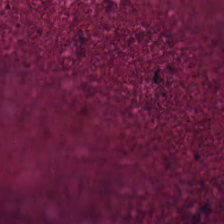H&E stain.
This patch shows debris.
